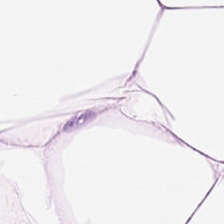0.5 µm per pixel; H&E-stained tissue section; brightfield microscopy — Predominantly adipose tissue.
